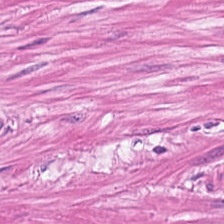Hematoxylin-and-eosin stained section · 0.5 µm/px. Tissue type = smooth muscle.
